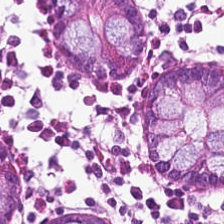FFPE. Hematoxylin-and-eosin stained section — Q: Identify the tissue.
A: This is non-neoplastic colon mucosa.
